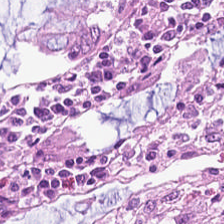H&E; 20× equivalent magnification — Impression — non-neoplastic colon mucosa.
